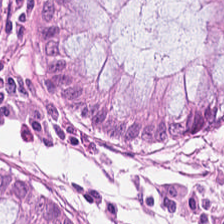Stain: H&E-stained tissue section.
Predominant tissue: normal colonic mucosa.
